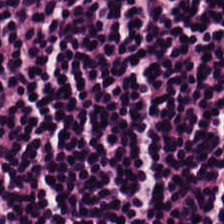This field is lymphocytes.
